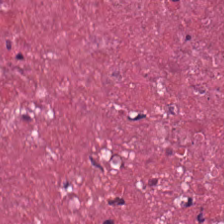Hematoxylin and eosin; FFPE tissue section.
Q: Identify the tissue.
A: Necrotic debris.
